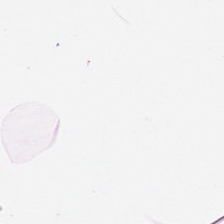224×224 px tile. Hematoxylin and eosin.
Q: Identify the tissue.
A: It is adipose tissue.
